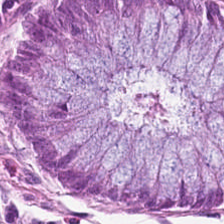Q: What is shown here?
A: It is normal colonic mucosa.
